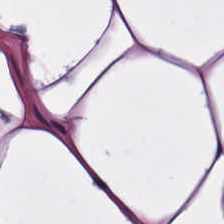Hematoxylin-and-eosin section: adipocytes.
